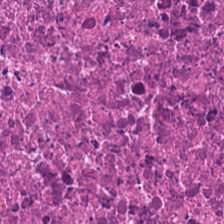Stain: H&E-stained tissue section.
Tissue: debris.
